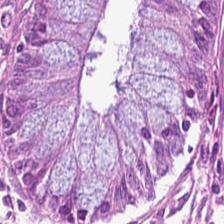H&E stain — The predominant tissue is normal colon mucosa.
